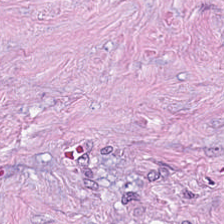H&E-stained tissue section — Q: What does this patch show?
A: The field shows desmoplastic stroma.
